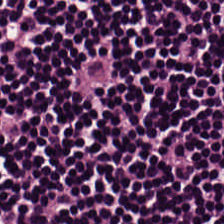20× equivalent magnification. H&E. 224×224 pixel tile — Showing lymphocytic infiltrate.
